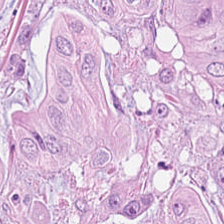Hematoxylin-and-eosin stained section — Q: What is the predominant tissue type?
A: This is colorectal adenocarcinoma.
